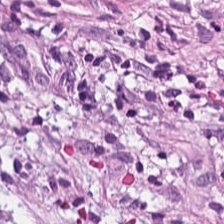H&E-stained tissue section — Histology → tumor-associated stroma.
